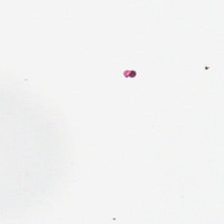H&E-stained tissue section — Content = no tissue.
